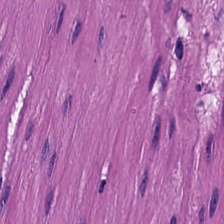Classification = muscularis.
